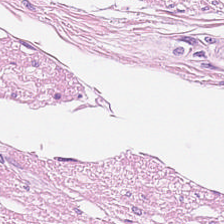Hematoxylin and eosin — Q: What does this patch show?
A: The field shows smooth-muscle tissue.
